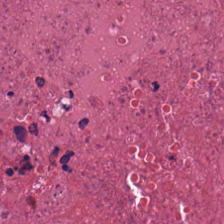0.5 µm per pixel. Hematoxylin and eosin — The predominant tissue is cellular debris.
